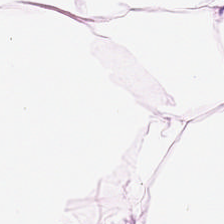H&E.
Predominantly adipose tissue.
